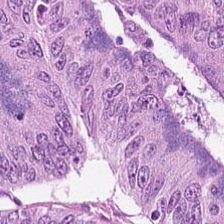Hematoxylin and eosin — Q: What is shown in this field?
A: Adenocarcinoma.
